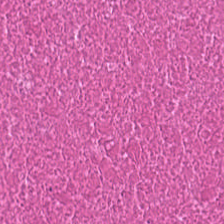H&E.
Debris.
